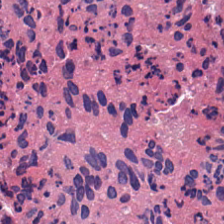224×224 px tile; H&E stain.
Predominantly cellular debris.
